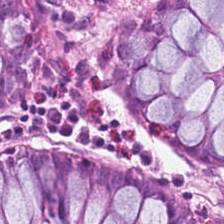H&E — Showing non-neoplastic colon mucosa.
